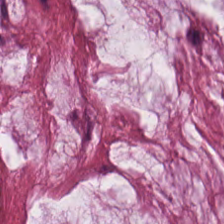Hematoxylin and eosin · 224×224 pixel tile. Tissue = mucin.
